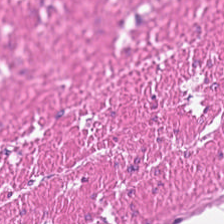H&E; brightfield. Classification = muscularis.
